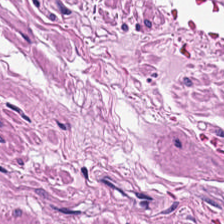H&E stain.
Classification — smooth muscle.
